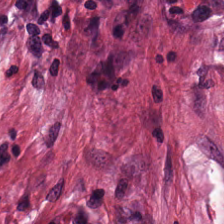Hematoxylin-and-eosin stained section — The tissue is tumor stroma.
